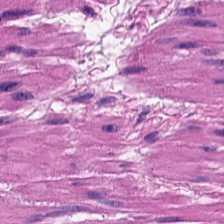Q: What is the predominant tissue type?
A: The field shows muscularis.
